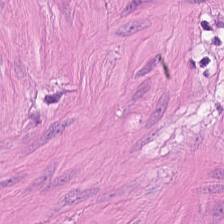{"tissue_type": "smooth muscle"}
